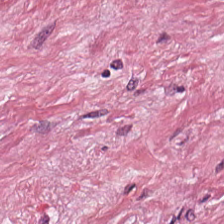224×224 px patch; hematoxylin-and-eosin stained section.
Showing desmoplastic stroma.
